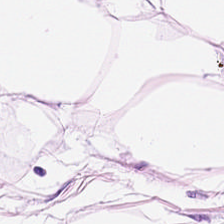Hematoxylin-and-eosin stained section.
Histology → adipocytes.
